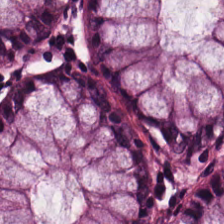Hematoxylin and eosin. Classification: normal colon mucosa.
